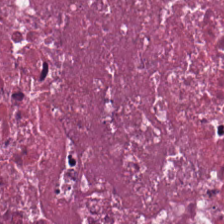Hematoxylin and eosin — Q: What is shown here?
A: This is debris.
